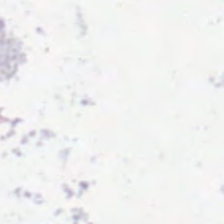Empty field — no tissue.
